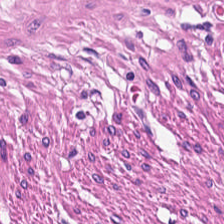H&E-stained tissue section · 0.5 microns per pixel.
Tissue — muscularis.
